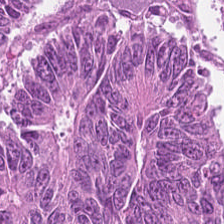H&E — malignant epithelium.
